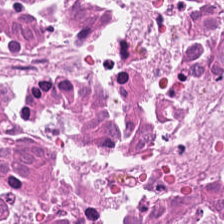Hematoxylin-and-eosin stained section. 0.5 µm/px — The tissue type is debris.
